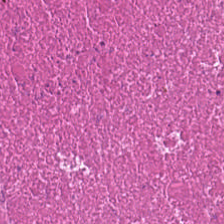FFPE. H&E-stained tissue section. 224×224 px tile — This field is cellular debris.
